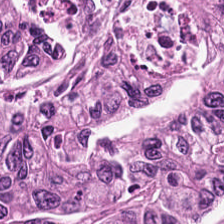Impression — colorectal adenocarcinoma epithelium.
